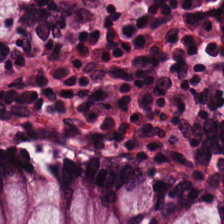H&E-stained tissue section.
Showing normal colon mucosa.
